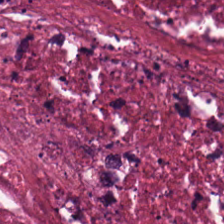This patch shows cellular debris.
